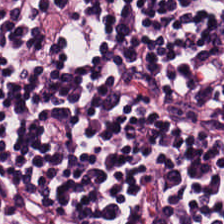Stain: H&E-stained tissue section.
Classification: lymphocytic infiltrate.
